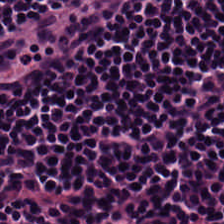Stain: hematoxylin-and-eosin stained section.
Preparation: FFPE tissue section.
Classification: lymphocytic infiltrate.
